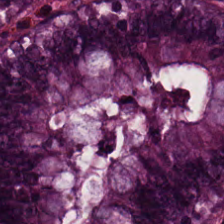H&E-stained tissue section. Non-neoplastic colon mucosa.
